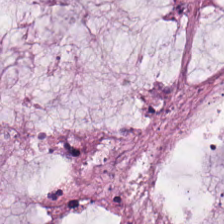Stain: hematoxylin-and-eosin stained section.
Tissue: extracellular mucin.
